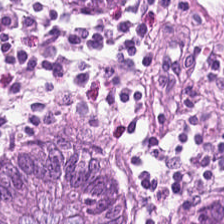WSI patch; hematoxylin-and-eosin stained section.
This field is benign colonic mucosa.
